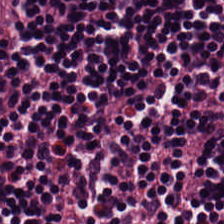H&E — This field is lymphocyte aggregate.
